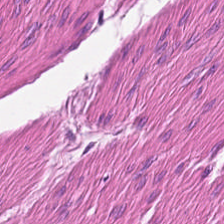H&E. Smooth-muscle tissue.
